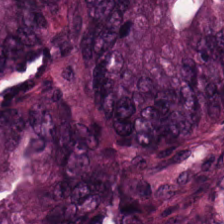H&E stain.
Q: What type of tissue is this?
A: This is adenocarcinoma.
